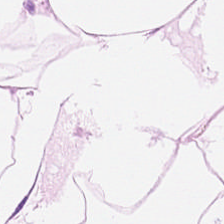Tissue: fat tissue.
